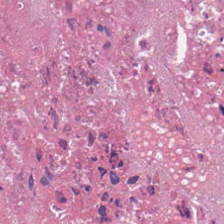Tissue — necrotic debris.
